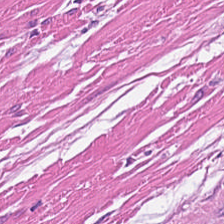Classification — muscularis.
